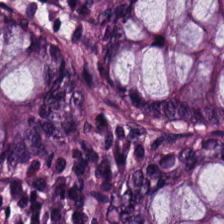Tissue type — benign colonic mucosa.
